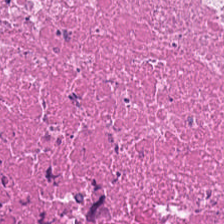H&E. Q: Identify the tissue.
A: This is cellular debris.
